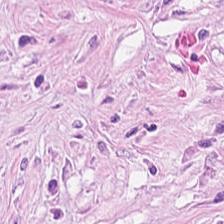0.5 µm/px · H&E stain.
Predominantly tumor stroma.
